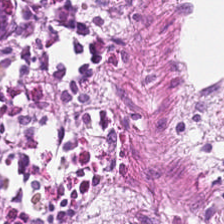Stain: hematoxylin and eosin.
Tissue: normal colon mucosa.
